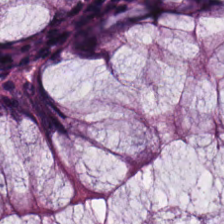H&E-stained tissue section showing non-neoplastic colon mucosa.
